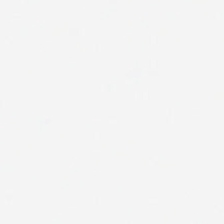Q: What is shown here?
A: It is empty background.
